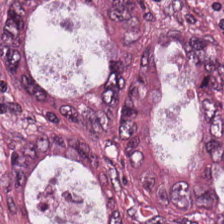Hematoxylin and eosin. Impression → adenocarcinoma.
